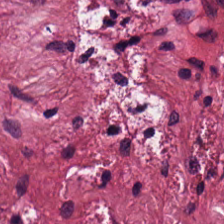The classification is cancer-associated stroma.
